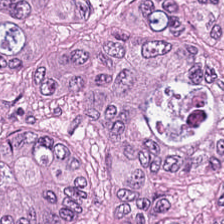H&E-stained tissue section — This field is tumor epithelium.
